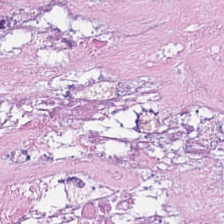H&E-stained section; the field shows cellular debris.
